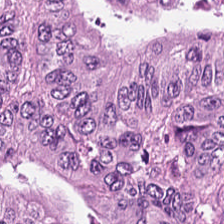Hematoxylin-and-eosin stained section; FFPE tissue section; whole-slide-image patch.
Q: Identify the tissue.
A: Colorectal adenocarcinoma.
